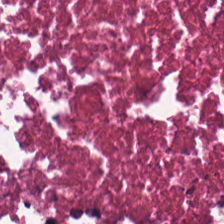Stain: hematoxylin-and-eosin stained section.
Tissue class: necrotic debris.
